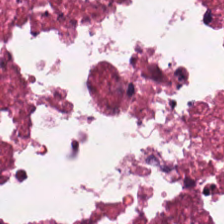Hematoxylin and eosin.
The tissue class is necrotic debris.
